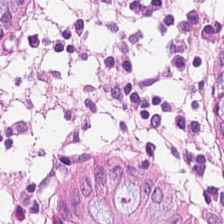H&E stain — Tissue class — non-neoplastic colon mucosa.
